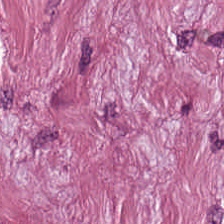Formalin-fixed paraffin-embedded section · H&E — The tissue is cancer-associated stroma.
